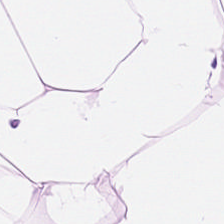Hematoxylin and eosin — This field is adipocytes.
